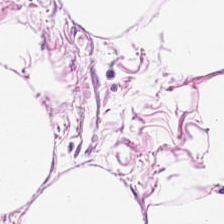224×224 pixel tile. Hematoxylin-and-eosin stained section.
Finding — adipose tissue.
